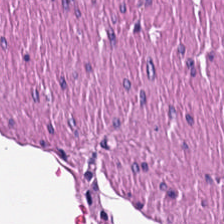Hematoxylin-and-eosin stained section.
This field is smooth muscle.
